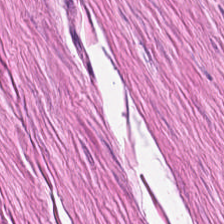H&E-stained tissue section · FFPE tissue section.
The predominant tissue is smooth-muscle tissue.
